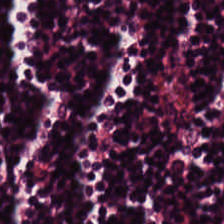Q: Identify the tissue.
A: It is lymphocytic infiltrate.
